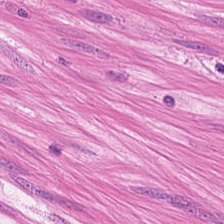Formalin-fixed paraffin-embedded section. Hematoxylin-and-eosin stained section. {"tissue_type": "smooth-muscle tissue"}
